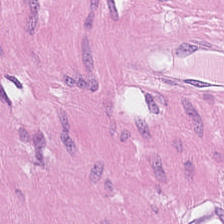H&E stain.
Tissue class = muscularis.
